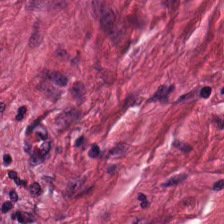H&E-stained tissue section.
Tissue — cancer-associated stroma.
